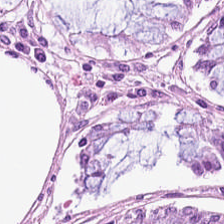224×224 px tile; hematoxylin-and-eosin stained section; 0.5 microns per pixel — The tissue class is normal colon mucosa.
